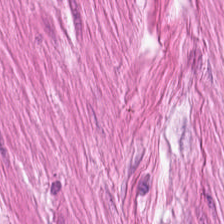H&E. 20× equivalent magnification.
This patch shows smooth-muscle tissue.
